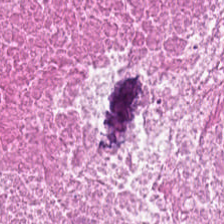Stain: hematoxylin-and-eosin stained section.
Resolution: 0.5 microns per pixel.
Preparation: formalin-fixed paraffin-embedded section.
Predominant tissue: debris.
